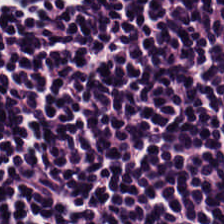H&E stain. Classification — lymphoid infiltrate.
